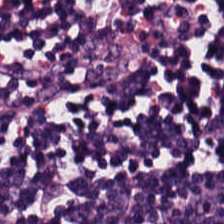Hematoxylin and eosin. The tissue here is lymphocyte aggregate.
